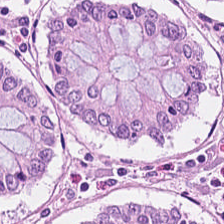H&E-stained tissue section — Q: Classify this patch.
A: Normal colon mucosa.
